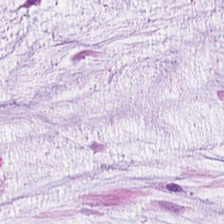WSI patch · H&E — This field is mucin.
